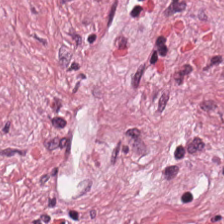224×224 px patch. Brightfield. H&E-stained tissue section — Classification — tumor stroma.
